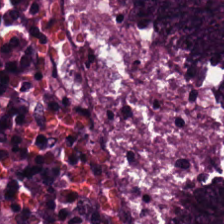Hematoxylin and eosin; formalin-fixed paraffin-embedded section.
The predominant tissue is colorectal adenocarcinoma epithelium.
